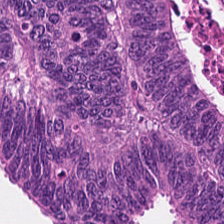Formalin-fixed paraffin-embedded section. H&E stain — This field is adenocarcinoma.
